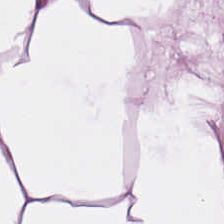FFPE tissue section · brightfield · H&E-stained tissue section — Predominantly adipocytes.
